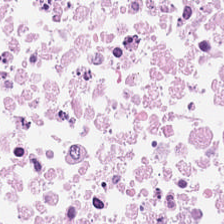The tissue class is debris.
